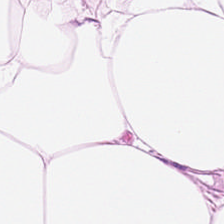224×224 px tile · WSI patch · hematoxylin-and-eosin stained section.
Adipose tissue.
